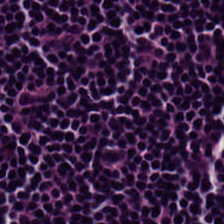Brightfield · H&E stain · 224×224 pixel tile.
Q: What does this patch show?
A: The field shows lymphoid infiltrate.
